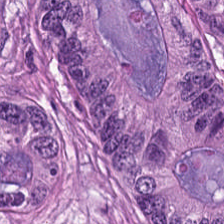224×224 px tile. H&E-stained tissue section. 0.5 µm per pixel — {"tissue_type": "adenocarcinoma"}
